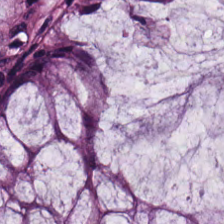H&E stain.
The tissue class is non-neoplastic colon mucosa.
